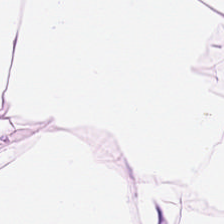H&E stain — Predominant tissue: adipocytes.
